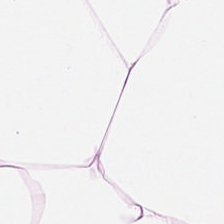Stain: H&E.
Resolution: 0.5 µm per pixel.
Tissue: adipose tissue.
